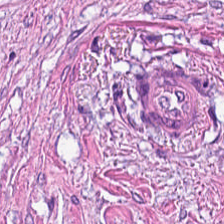Cancer-associated stroma.
